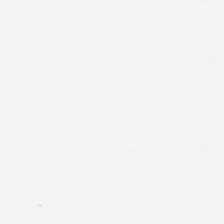Formalin-fixed paraffin-embedded section · H&E stain — Impression → background (no tissue).
